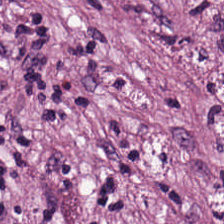Stain: H&E.
Tile size: 224×224 pixel tile.
Tissue: desmoplastic stroma.
